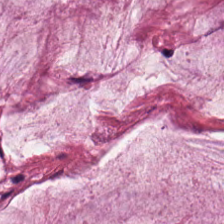Stain: hematoxylin and eosin.
Tissue class: mucin.
